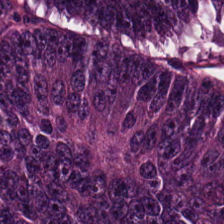WSI patch; H&E stain.
Q: What is the predominant tissue type?
A: Tumor epithelium.
